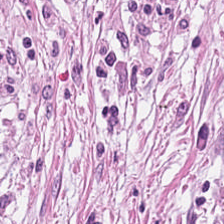H&E-stained tissue section.
Desmoplastic stroma.
